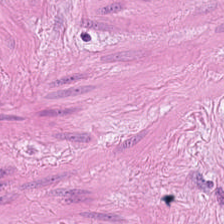H&E.
Smooth-muscle tissue.
